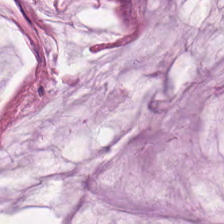Stain: H&E stain.
Resolution: 20× equivalent magnification.
Tile size: 224×224 px patch.
Predominant tissue: mucin.
